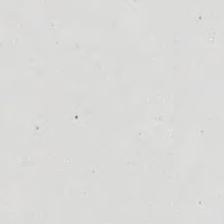H&E-stained tissue section. This patch shows background (no tissue).
